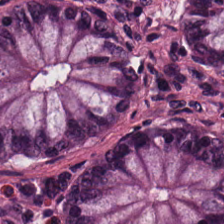H&E patch showing non-neoplastic colon mucosa.
